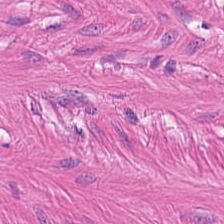Stain: hematoxylin-and-eosin stained section.
Resolution: 0.5 µm per pixel.
Acquisition: WSI patch.
Tissue type: muscularis.
